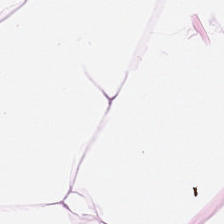H&E-stained tissue section.
{"tissue_type": "adipose"}
